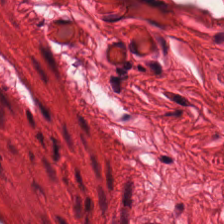H&E-stained tissue section · brightfield · FFPE tissue section — Histology → smooth muscle.
